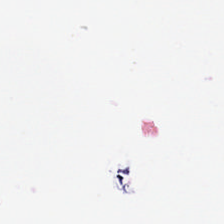FFPE tissue section · hematoxylin-and-eosin stained section — This patch shows empty background.
